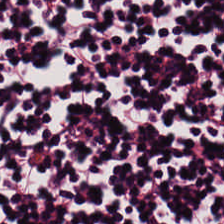Hematoxylin-and-eosin stained section; WSI patch. Q: What does this patch show?
A: This is lymphoid infiltrate.
